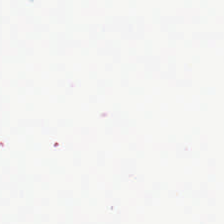The classification is background.
